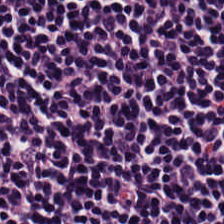Lymphocytic infiltrate.
